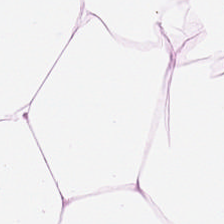20× equivalent magnification. H&E stain. FFPE tissue section. The tissue is adipose.
